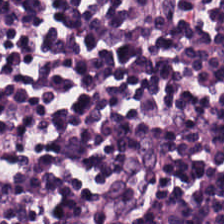Finding → lymphocytic infiltrate.
